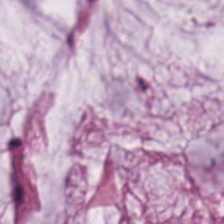Hematoxylin and eosin — Extracellular mucin.
